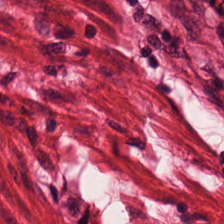Q: What is shown in this field?
A: Smooth-muscle tissue.
